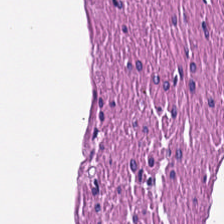FFPE · H&E-stained tissue section — This field is muscularis.
